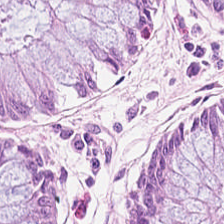H&E stain; brightfield microscopy; 224×224 px patch — Histology → normal colonic mucosa.
